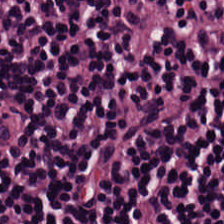H&E-stained tissue section · 20× equivalent magnification — {"tissue_type": "lymphocytes"}
